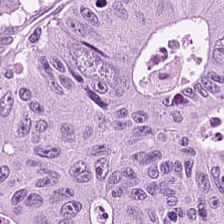Hematoxylin-and-eosin section: malignant epithelium.
